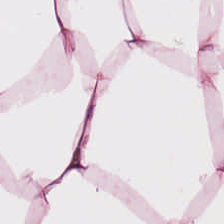Hematoxylin-and-eosin stained section · brightfield microscopy.
This field is adipose tissue.
